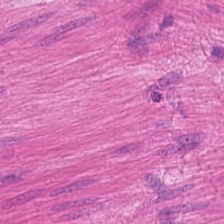H&E-stained tissue section.
Q: Identify the tissue.
A: Muscularis.
